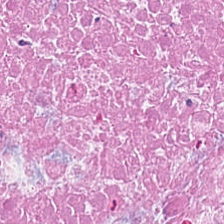H&E-stained tissue section — {"tissue_type": "necrotic debris"}
